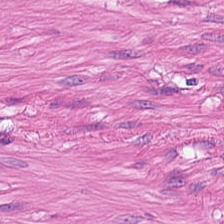Q: What type of tissue is this?
A: It is smooth muscle.
